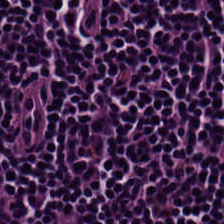Tissue type — lymphocytic infiltrate.
